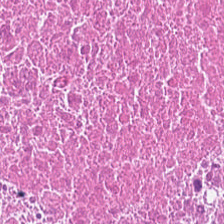Histology → debris.
